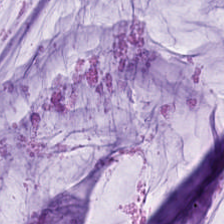This field is mucus.
